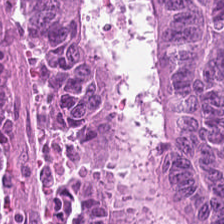Stain: H&E-stained tissue section.
Tissue class: adenocarcinoma.
